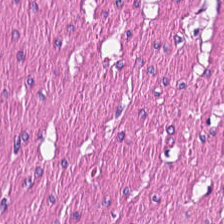H&E-stained section; the field shows smooth muscle.
